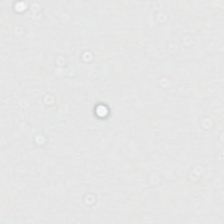H&E — Q: Classify this patch.
A: Background.
